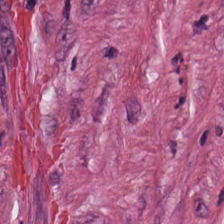Histology → cancer-associated stroma.
